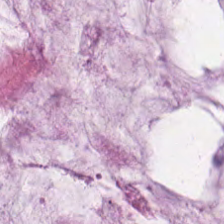H&E. 224×224 px tile.
Impression → mucus.
